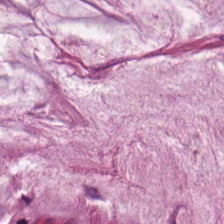Stain: H&E-stained tissue section.
Tissue class: extracellular mucin.
